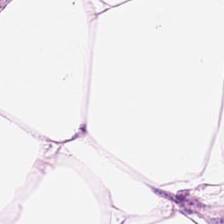Hematoxylin and eosin; 0.5 µm/px. Tissue = fat tissue.
